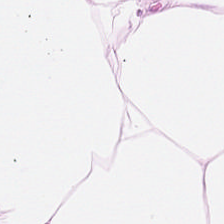FFPE; H&E.
The tissue class is adipocytes.
